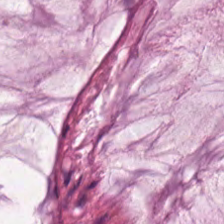20× equivalent magnification · H&E-stained tissue section.
Classification: mucin.
